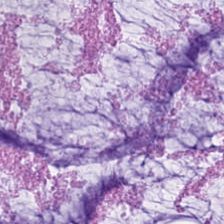Hematoxylin and eosin. Predominantly extracellular mucin.
